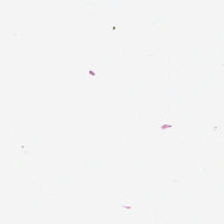H&E. This patch shows background.
